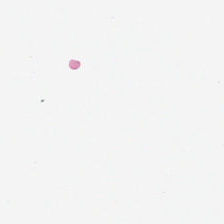H&E-stained tissue section; whole-slide-image patch — This field is background (no tissue).
